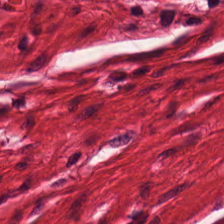H&E-stained tissue section — Tissue = smooth-muscle tissue.
